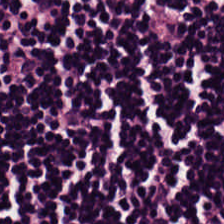Tissue class = lymphocyte aggregate.
